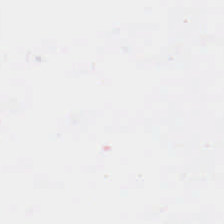H&E stain; 0.5 microns per pixel. Background — no tissue in this field.
